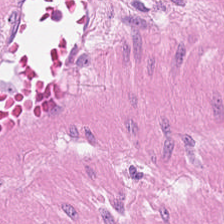Hematoxylin and eosin; 0.5 µm/px. Predominantly muscularis.
